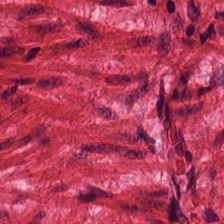Hematoxylin and eosin. The predominant tissue is smooth-muscle tissue.
